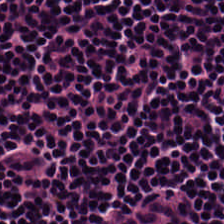Hematoxylin-and-eosin stained section. The tissue here is lymphocyte aggregate.
